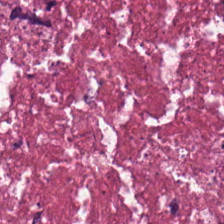Q: What does this patch show?
A: Necrotic debris.
